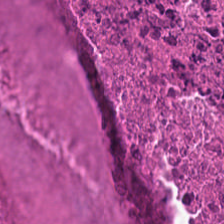Brightfield microscopy; hematoxylin and eosin.
Showing necrotic debris.
